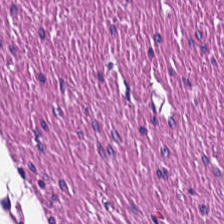0.5 microns per pixel; H&E-stained tissue section; FFPE tissue section. Impression — smooth muscle.
